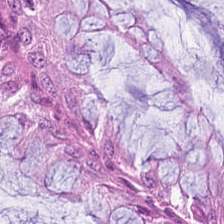WSI patch · 20× equivalent magnification · hematoxylin and eosin. Tissue class = benign colonic mucosa.
